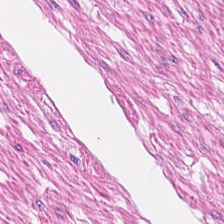H&E-stained tissue section. Impression → smooth muscle.
